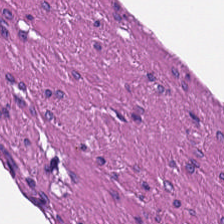The classification is smooth-muscle tissue.
